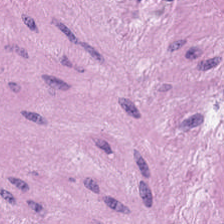H&E stain — Finding — muscularis.
